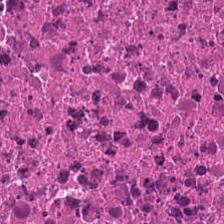Stain: H&E stain.
Predominant tissue: cellular debris.
